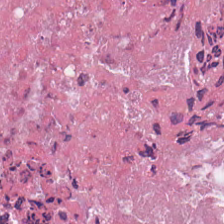H&E. Q: What is shown in this field?
A: It is cellular debris.
